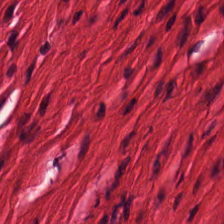H&E-stained tissue section.
Classification = smooth muscle.
